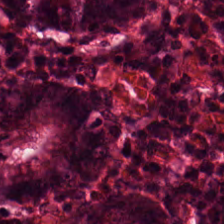Hematoxylin-and-eosin stained section.
Normal colonic mucosa.
